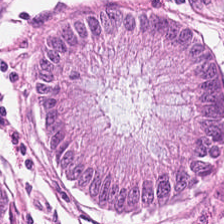Tissue type: non-neoplastic colon mucosa.
